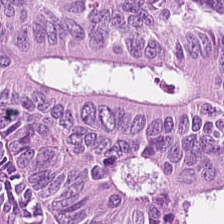H&E-stained tissue section showing tumor epithelium.
